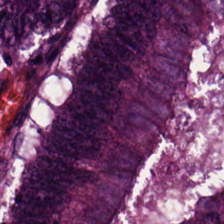H&E; 20× equivalent magnification. This field is adenocarcinoma.
